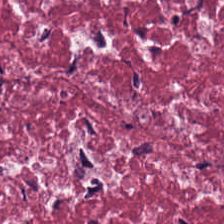Hematoxylin-and-eosin stained section. This patch shows desmoplastic stroma.
